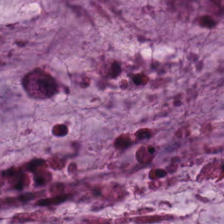The predominant tissue is extracellular mucin.
